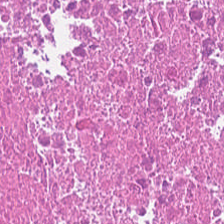Q: What type of tissue is this?
A: Cellular debris.
